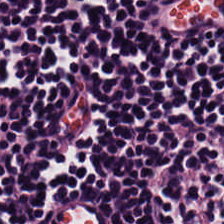The tissue here is lymphocytic infiltrate.
